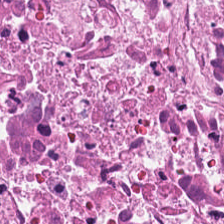Q: What type of tissue is this?
A: This is necrotic debris.
